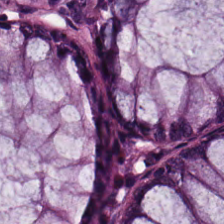Hematoxylin-and-eosin stained section. Histology — benign colonic mucosa.
